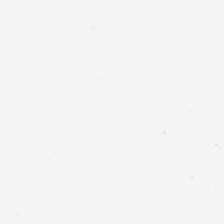H&E stain — The field content is no tissue.
